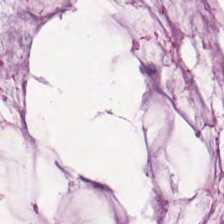H&E stain · 224×224 px tile — Predominant tissue — mucus.
